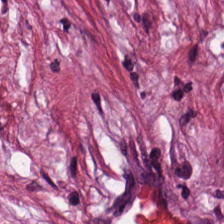H&E.
The tissue here is tumor stroma.
